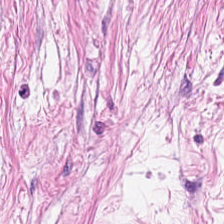Hematoxylin-and-eosin stained section — Tissue class: tumor-associated stroma.
